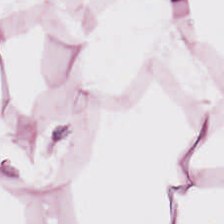FFPE tissue section. 224×224 pixel tile. Hematoxylin and eosin — Predominantly fat tissue.
